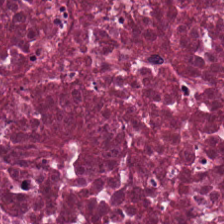This patch shows debris.
